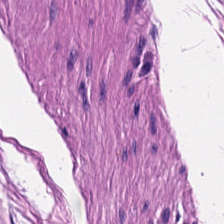This patch shows smooth muscle.
